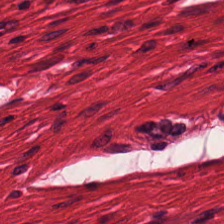H&E stain.
Q: What does this patch show?
A: It is muscularis.
